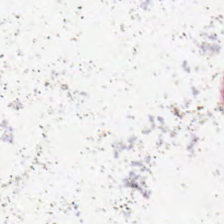Q: What does this patch show?
A: This is empty background.
